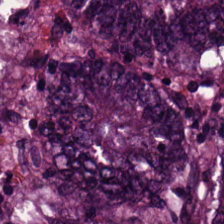Stain: H&E-stained tissue section.
Resolution: 0.5 µm/px.
Preparation: FFPE tissue section.
Tissue class: adenocarcinoma.
